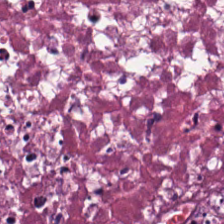Hematoxylin-and-eosin stained section — This patch shows necrotic debris.
